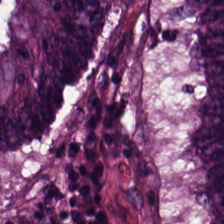Tissue type — malignant epithelium.
